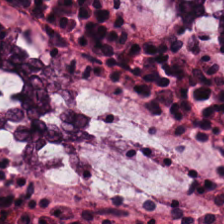Brightfield; H&E; 224×224 px tile — Q: What is shown here?
A: The field shows normal colonic mucosa.
